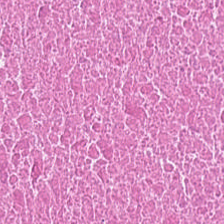Histology — cellular debris.
